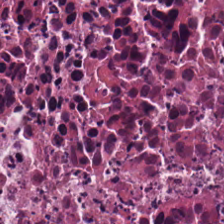Brightfield microscopy. Hematoxylin-and-eosin stained section — Q: What type of tissue is this?
A: This is necrotic debris.
